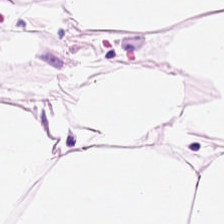FFPE; H&E.
Predominantly adipose tissue.
